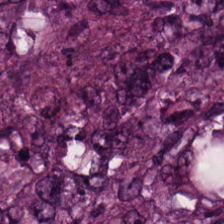H&E-stained tissue section; brightfield microscopy — The predominant tissue is tumor epithelium.
